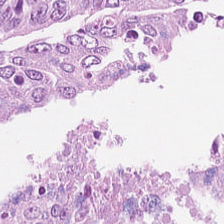Q: What is shown in this field?
A: It is adenocarcinoma.
